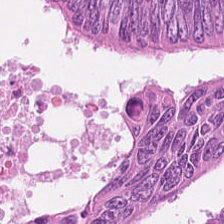224×224 px tile; hematoxylin and eosin.
The predominant tissue is colorectal adenocarcinoma epithelium.
